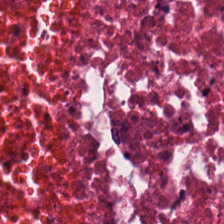0.5 µm per pixel · H&E stain. {"tissue_type": "necrotic debris"}
